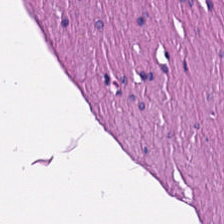H&E — Tissue: smooth muscle.
